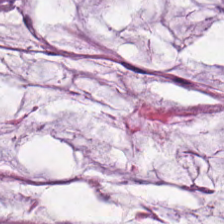H&E-stained tissue section; WSI patch; 224×224 px tile.
This patch shows mucin.
